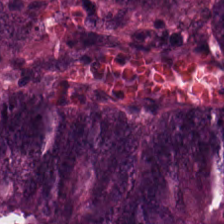{"tissue_type": "tumor epithelium"}
